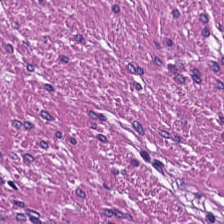Predominantly muscularis.
